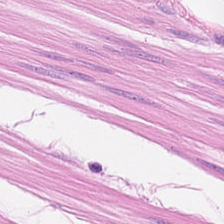H&E-stained tissue section · 0.5 µm/px. Q: What does this patch show?
A: This is smooth muscle.
